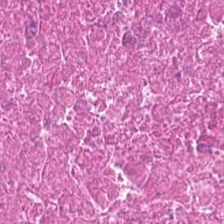20× equivalent magnification. H&E — This field is debris.
